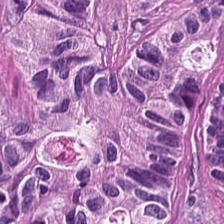Q: Identify the tissue.
A: This is adenocarcinoma.
